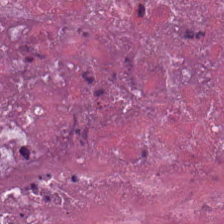H&E.
The predominant tissue is debris.
